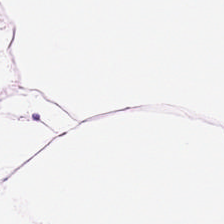Stain: hematoxylin and eosin.
Acquisition: WSI patch.
Tissue type: fat tissue.
